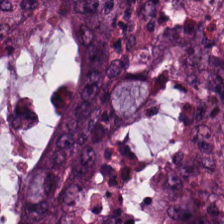Stain: hematoxylin and eosin.
Tissue class: tumor epithelium.
